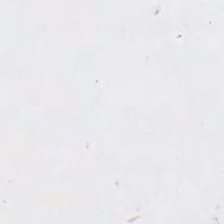H&E-stained tissue section — This field is background (no tissue).
